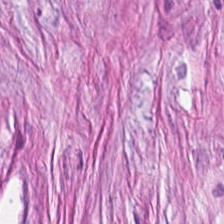H&E stain.
Histology — tumor-associated stroma.
